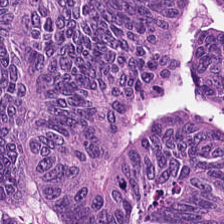Stain: hematoxylin and eosin.
Preparation: FFPE tissue section.
Resolution: 0.5 microns per pixel.
Predominant tissue: tumor epithelium.
